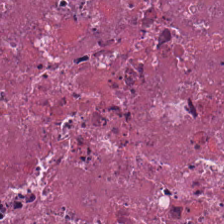H&E-stained tissue section.
Q: What is the predominant tissue type?
A: Necrotic debris.
